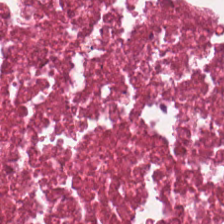H&E-stained tissue section. This patch shows cellular debris.
